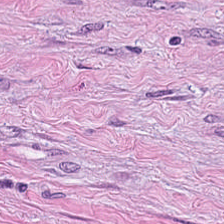Hematoxylin-and-eosin stained section. {"tissue_type": "tumor stroma"}
